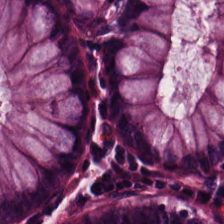Stain: hematoxylin-and-eosin stained section.
Predominant tissue: non-neoplastic colon mucosa.
